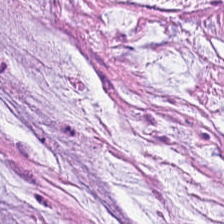Hematoxylin-and-eosin stained section — Tissue — mucin.
